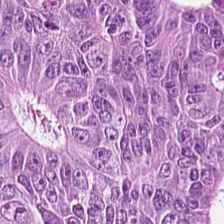Histology — colorectal adenocarcinoma epithelium.
